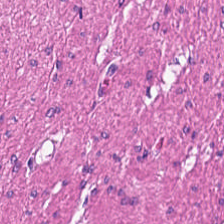Classification = smooth-muscle tissue.
